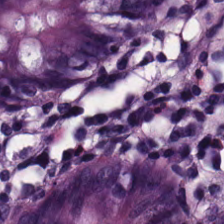Stain: H&E-stained tissue section.
Tissue type: benign colonic mucosa.
